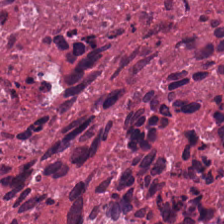H&E; brightfield microscopy. Q: What tissue type is shown here?
A: It is cellular debris.
